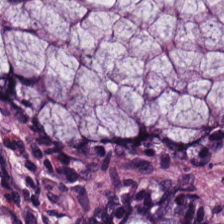H&E stain.
The predominant tissue is normal colon mucosa.
